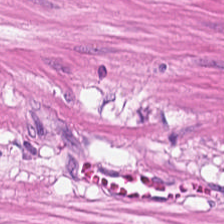Predominantly smooth muscle.
